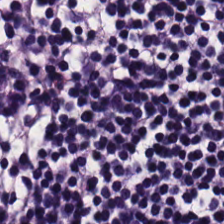Stain: hematoxylin and eosin.
Acquisition: WSI patch.
Tissue: lymphocytes.
